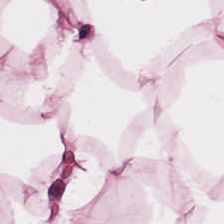Hematoxylin-and-eosin section: adipose tissue.
